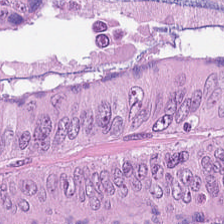WSI patch; 224×224 pixel tile; hematoxylin-and-eosin stained section.
The tissue class is adenocarcinoma.
